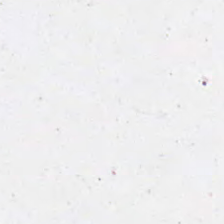Stain: H&E.
Content: background.
